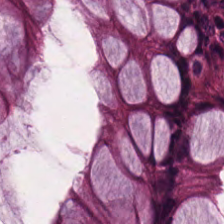Q: What type of tissue is this?
A: Benign colonic mucosa.
